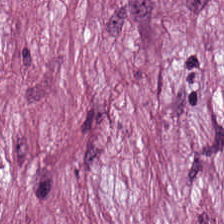H&E — {"tissue_type": "cancer-associated stroma"}
